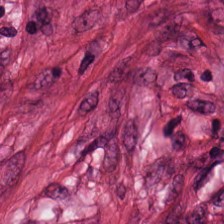Classification: desmoplastic stroma.
